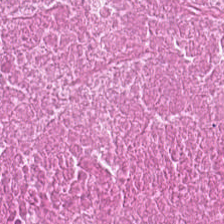Histology → necrotic debris.
